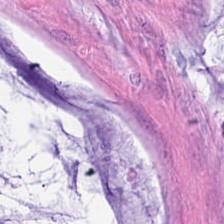FFPE tissue section. H&E-stained tissue section.
Classification — extracellular mucin.
